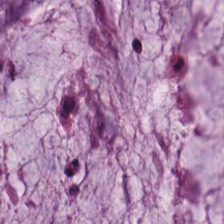224×224 pixel tile; H&E stain.
Predominantly extracellular mucin.
